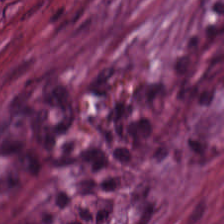Hematoxylin-and-eosin stained section · 224×224 px patch — This patch shows desmoplastic stroma.
